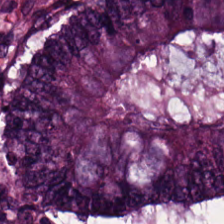H&E-stained tissue section showing colorectal adenocarcinoma epithelium.
